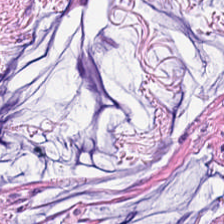Tissue class: tumor-associated stroma.
